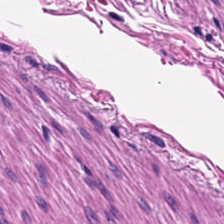Showing smooth-muscle tissue.
